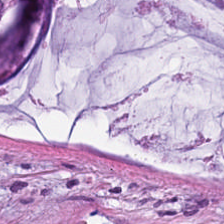20× equivalent magnification · H&E-stained tissue section — Q: What is the predominant tissue type?
A: This is mucus.
